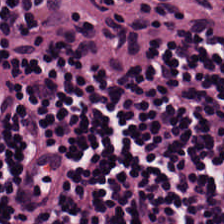Showing lymphocytic infiltrate.
